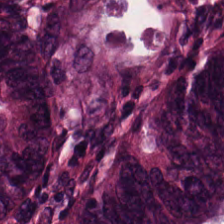Stain: H&E.
Resolution: 0.5 µm/px.
Tile size: 224×224 px tile.
Tissue class: colorectal adenocarcinoma.
